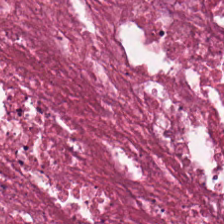Hematoxylin and eosin — Debris.
